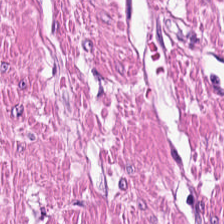H&E stain. Q: What is the predominant tissue type?
A: The field shows smooth muscle.
